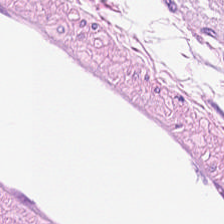H&E — Finding — adipose tissue.
